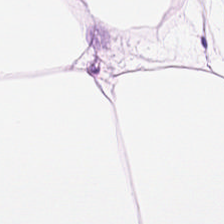0.5 µm per pixel. Hematoxylin-and-eosin stained section. FFPE tissue section — Tissue — fat tissue.
